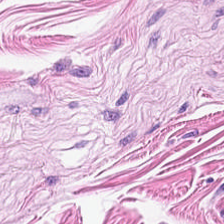Whole-slide-image patch · H&E stain — The tissue class is smooth muscle.
